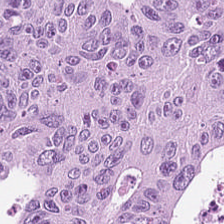Hematoxylin-and-eosin stained section. Brightfield microscopy. The tissue here is colorectal adenocarcinoma.
